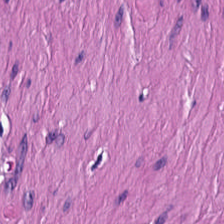20× equivalent magnification · 224×224 px patch · H&E-stained tissue section. Tissue type = smooth muscle.
